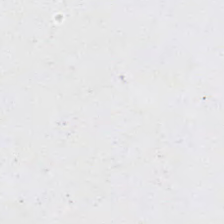Hematoxylin-and-eosin stained section · 224×224 pixel tile.
This patch shows background (no tissue).
